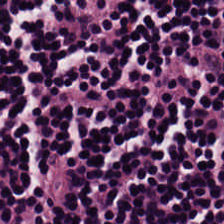224×224 px tile; H&E — The predominant tissue is lymphocyte aggregate.
